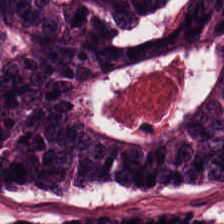Histology — adenocarcinoma.
